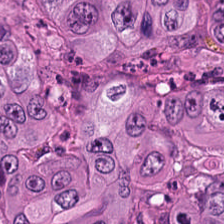H&E stain. Q: What is shown in this field?
A: This is tumor epithelium.
